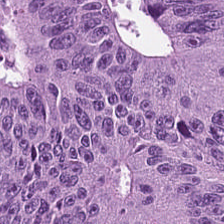Hematoxylin-and-eosin stained section.
Classification = adenocarcinoma.
